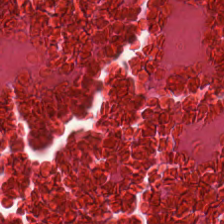H&E stain. Showing necrotic debris.
